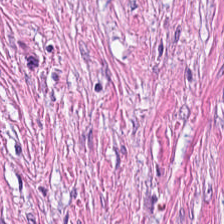Hematoxylin-and-eosin stained section.
This patch shows tumor stroma.
